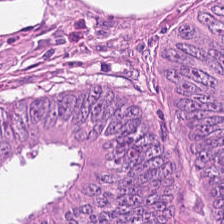Stain: hematoxylin-and-eosin stained section.
Preparation: FFPE tissue section.
Classification: adenocarcinoma.
